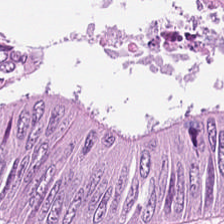{"tissue_type": "malignant epithelium"}
